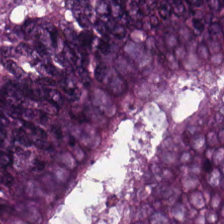H&E stain; 224×224 pixel tile.
{"tissue_type": "adenocarcinoma"}
